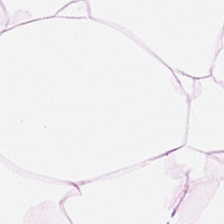Brightfield microscopy. Hematoxylin and eosin. FFPE tissue section — Finding — adipocytes.
